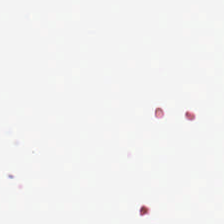Hematoxylin-and-eosin stained section · brightfield microscopy. This patch shows background (no tissue).
